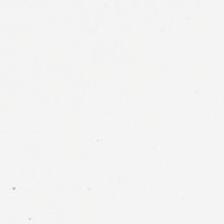Whole-slide-image patch · H&E — Background — no tissue in this field.
